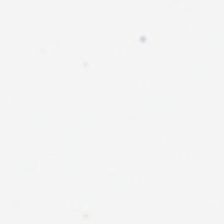H&E-stained tissue section — Classification — background (no tissue).
